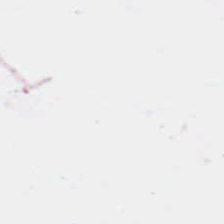Q: What is shown in this field?
A: It is empty background.
